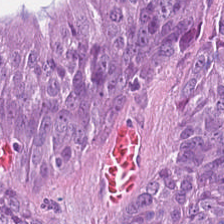224×224 px tile; H&E stain — {"tissue_type": "malignant epithelium"}
